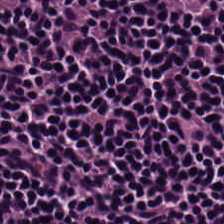The classification is lymphocytic infiltrate.
